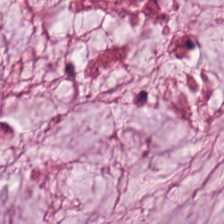This patch shows extracellular mucin.
